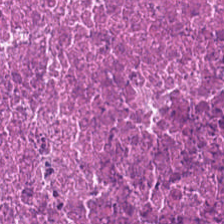H&E stain — Predominantly necrotic debris.
